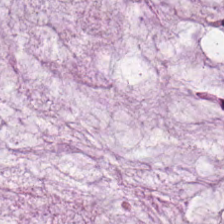Hematoxylin-and-eosin stained section. Showing mucus.
